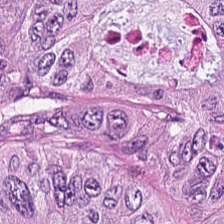Stain: hematoxylin and eosin.
Resolution: 0.5 µm/px.
Acquisition: WSI patch.
Predominant tissue: adenocarcinoma.
